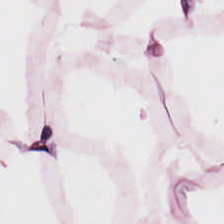H&E stain.
Q: What is shown here?
A: This is adipocytes.
